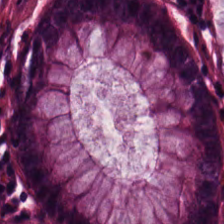Stain: H&E-stained tissue section.
Predominant tissue: non-neoplastic colon mucosa.
